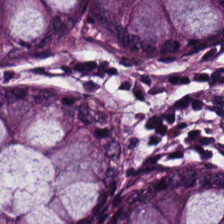This patch shows normal colon mucosa.
